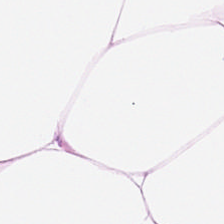H&E. This field is adipose tissue.
